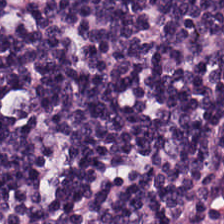H&E stain. This field is lymphocytic infiltrate.
